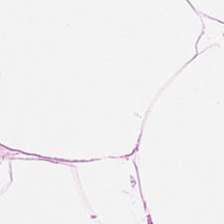Stain: H&E-stained tissue section.
Predominant tissue: fat tissue.
